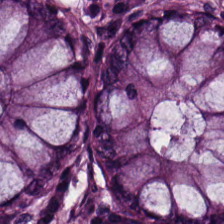Whole-slide-image patch; H&E-stained tissue section.
This field is normal colon mucosa.
